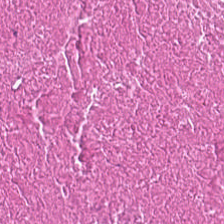The predominant tissue is necrotic debris.
